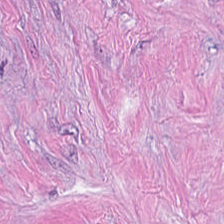Hematoxylin and eosin.
Showing cancer-associated stroma.
